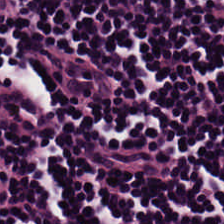Hematoxylin-and-eosin stained section — Lymphoid infiltrate.
